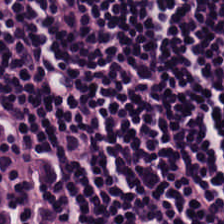Hematoxylin-and-eosin stained section. This field is lymphocytic infiltrate.
